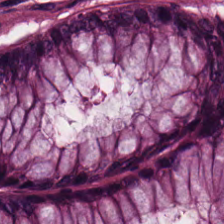The tissue here is benign colonic mucosa.
